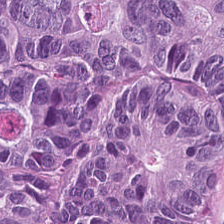H&E-stained tissue section.
Tumor epithelium.
